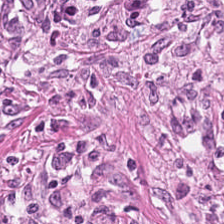Stain: hematoxylin-and-eosin stained section.
Acquisition: brightfield.
Tile size: 224×224 px patch.
Tissue type: desmoplastic stroma.
